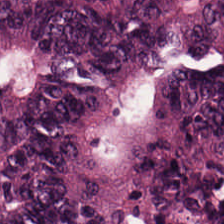Stain: H&E-stained tissue section.
Tissue type: malignant epithelium.
